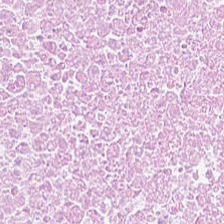0.5 µm/px. H&E-stained tissue section. 224×224 px patch — The tissue here is necrotic debris.
